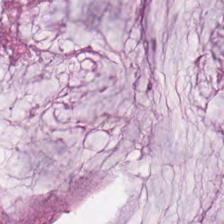Hematoxylin-and-eosin section: mucus.
